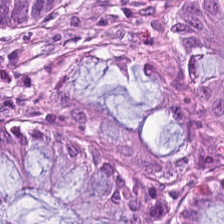0.5 microns per pixel; H&E stain.
The tissue here is benign colonic mucosa.
